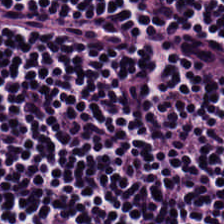Hematoxylin and eosin; 0.5 µm/px.
Predominantly lymphocytes.
